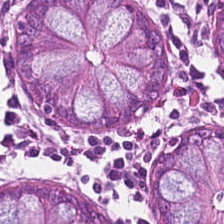Stain: H&E-stained tissue section.
Classification: non-neoplastic colon mucosa.
